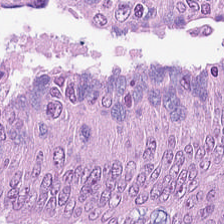Formalin-fixed paraffin-embedded section. 0.5 µm/px. H&E — Predominant tissue = adenocarcinoma.
